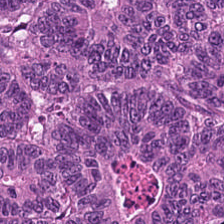Stain: H&E-stained tissue section.
Tile size: 224×224 pixel tile.
Tissue type: colorectal adenocarcinoma epithelium.
